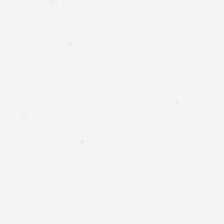FFPE. 0.5 µm/px. Hematoxylin-and-eosin stained section — Background — no tissue in this field.
